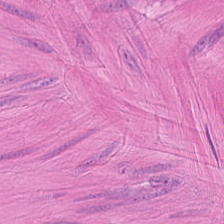Impression — muscularis.
